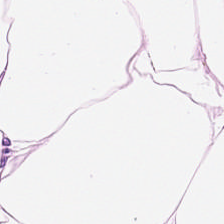H&E. Q: Classify this patch.
A: It is adipose tissue.
